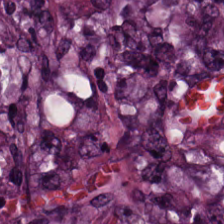Predominantly colorectal adenocarcinoma.
